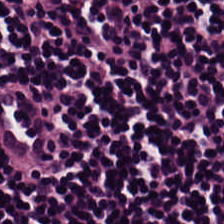H&E stain. 0.5 µm per pixel.
Tissue class: lymphocyte aggregate.
